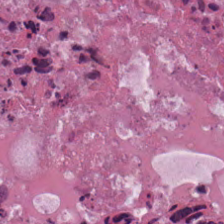Hematoxylin-and-eosin stained section.
Q: What type of tissue is this?
A: This is necrotic debris.
